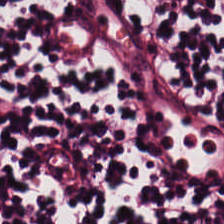H&E-stained tissue section. {"tissue_type": "lymphocytes"}
